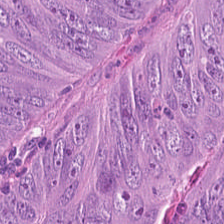H&E stain. Q: What does this patch show?
A: Adenocarcinoma.
